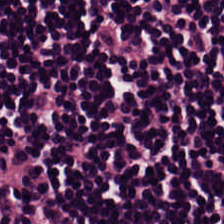Hematoxylin-and-eosin stained section.
Q: What is the predominant tissue type?
A: It is lymphocytes.
